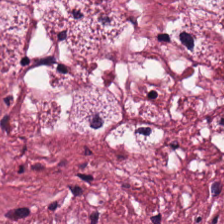Stain: H&E-stained tissue section.
Preparation: FFPE tissue section.
Acquisition: whole-slide-image patch.
Tissue class: tumor stroma.
